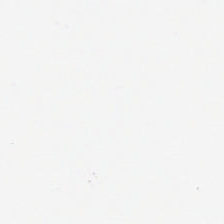Hematoxylin and eosin. Empty field — empty background.
